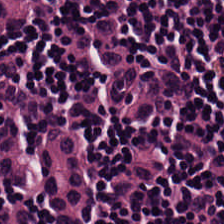The tissue class is lymphocyte aggregate.
